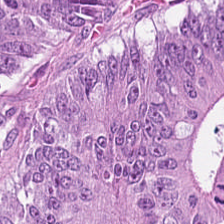Hematoxylin and eosin. Showing colorectal adenocarcinoma.
